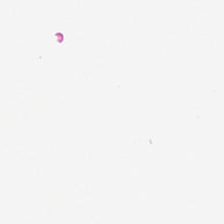Hematoxylin and eosin · brightfield. Q: Classify this patch.
A: Background.
